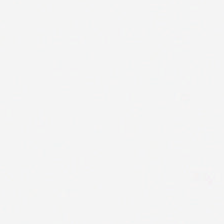H&E-stained tissue section — Background — no tissue in this field.
